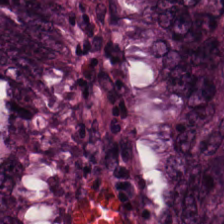Hematoxylin-and-eosin stained section — This field is malignant epithelium.
